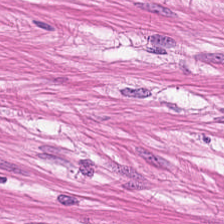Stain: H&E.
Resolution: 0.5 microns per pixel.
Predominant tissue: muscularis.
